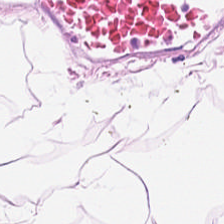H&E-stained tissue section — Classification — adipose tissue.
